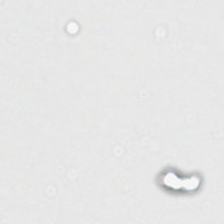Hematoxylin and eosin.
Content = background (no tissue).
